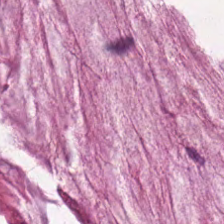Hematoxylin and eosin.
Q: What tissue is shown?
A: The field shows mucin.
